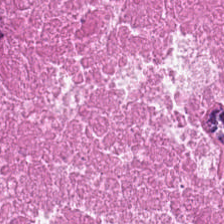H&E-stained tissue section; brightfield microscopy. The tissue type is cellular debris.
